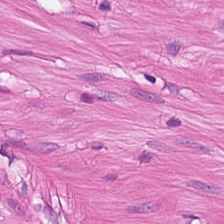Classification = muscularis.
